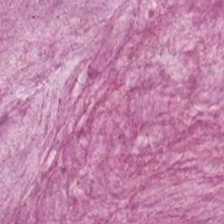H&E patch showing extracellular mucin.
